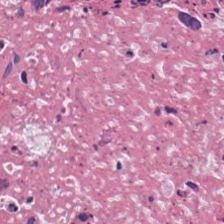Formalin-fixed paraffin-embedded section · 20× equivalent magnification · H&E — Q: What does this patch show?
A: This is necrotic debris.
